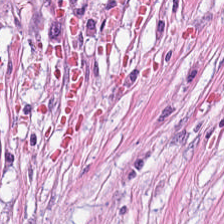224×224 px tile · H&E stain. The tissue type is desmoplastic stroma.
